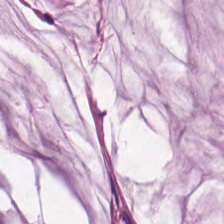Stain: H&E.
Resolution: 0.5 µm per pixel.
Tissue type: extracellular mucin.
